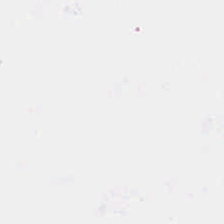H&E-stained tissue section. Q: What is shown in this field?
A: No tissue.
